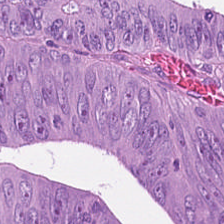0.5 µm per pixel; hematoxylin and eosin; FFPE. Tissue type = adenocarcinoma.
